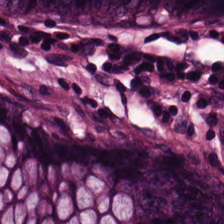0.5 microns per pixel; H&E-stained tissue section; 224×224 px patch — Q: What is shown in this field?
A: It is normal colonic mucosa.
